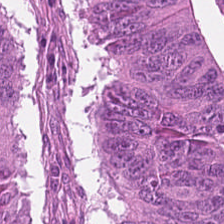WSI patch. H&E stain. 224×224 pixel tile — The tissue is colorectal adenocarcinoma.
